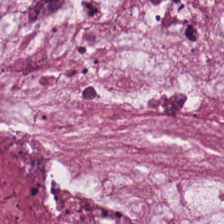0.5 microns per pixel; H&E stain.
Impression — mucus.
